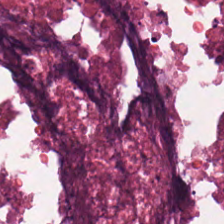The predominant tissue is necrotic debris.
